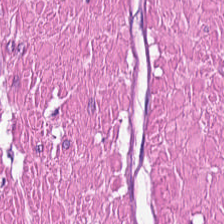H&E-stained section; the field shows smooth muscle.
